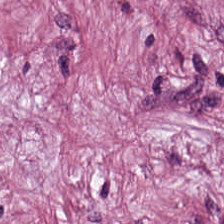Hematoxylin and eosin. Brightfield. FFPE. The tissue here is desmoplastic stroma.
